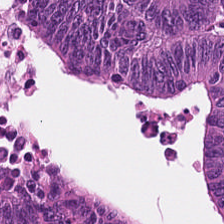H&E stain · 224×224 px patch · FFPE tissue section.
This patch shows tumor epithelium.
